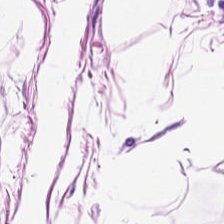Fat tissue.
